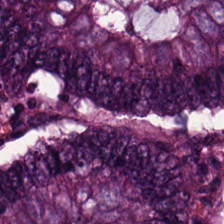Formalin-fixed paraffin-embedded section. H&E stain. 0.5 microns per pixel — Predominantly tumor epithelium.
